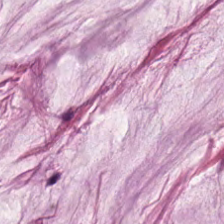H&E-stained tissue section.
The predominant tissue is mucin.
